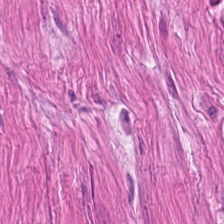Formalin-fixed paraffin-embedded section · hematoxylin and eosin. The tissue here is muscularis.
